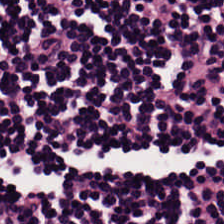224×224 px tile. H&E stain — Tissue — lymphocytes.
